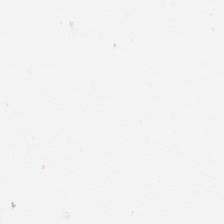0.5 µm/px; formalin-fixed paraffin-embedded section; hematoxylin and eosin.
{"content": "no tissue"}
